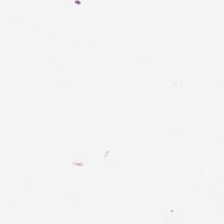Content = background (no tissue).
